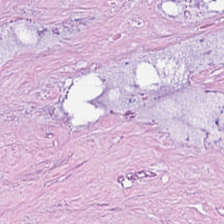H&E-stained tissue section.
This patch shows debris.
